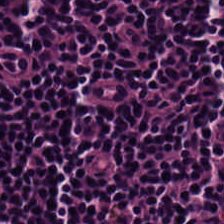WSI patch. H&E stain.
Q: What type of tissue is this?
A: Lymphoid infiltrate.
